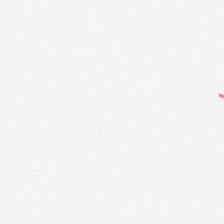Brightfield. Hematoxylin-and-eosin stained section.
This patch shows background (no tissue).
